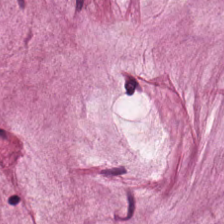H&E-stained section; the field shows mucus.
